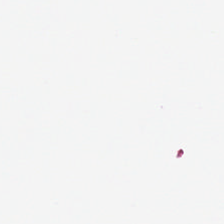Hematoxylin and eosin — Classification — empty background.
